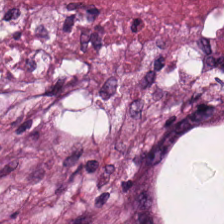H&E.
The tissue is debris.
